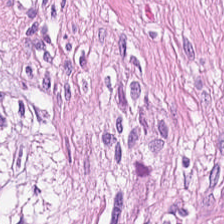H&E · formalin-fixed paraffin-embedded section · brightfield.
{"tissue_type": "muscularis"}
